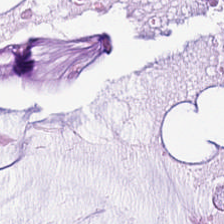Stain: hematoxylin-and-eosin stained section.
Tissue type: mucus.
